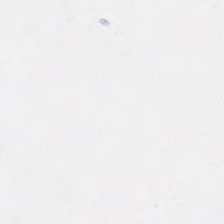H&E stain · FFPE — Content = no tissue.
